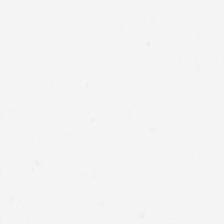H&E-stained tissue section. Histology → background.
